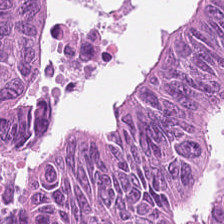H&E-stained tissue section.
Classification: malignant epithelium.
